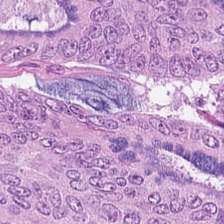H&E stain.
Predominantly colorectal adenocarcinoma epithelium.
